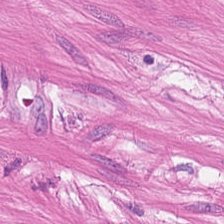Q: What is the predominant tissue type?
A: This is muscularis.
